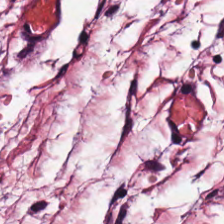Classification: cancer-associated stroma.
